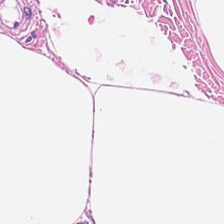Hematoxylin and eosin.
Tissue — fat tissue.
